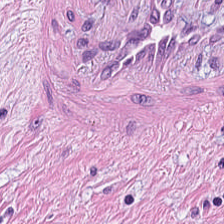Impression — cancer-associated stroma.
